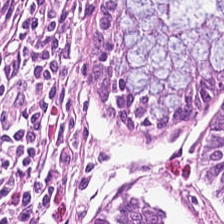224×224 pixel tile · H&E-stained tissue section. Impression → benign colonic mucosa.
